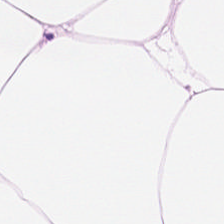H&E-stained tissue section — The predominant tissue is fat tissue.
